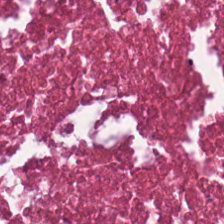Hematoxylin and eosin. Tissue = debris.
